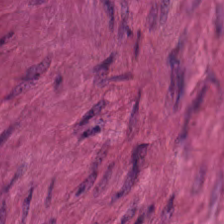Q: What tissue is shown?
A: The field shows muscularis.
